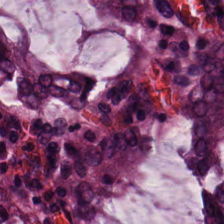224×224 px tile; hematoxylin-and-eosin stained section — The tissue here is non-neoplastic colon mucosa.
